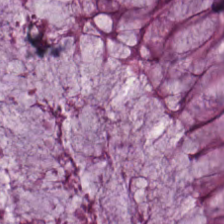Hematoxylin-and-eosin stained section.
Tissue type: non-neoplastic colon mucosa.
